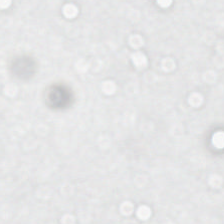FFPE. Hematoxylin and eosin.
Empty field — no tissue.
